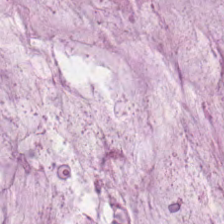Hematoxylin and eosin. 224×224 pixel tile — The predominant tissue is mucin.
